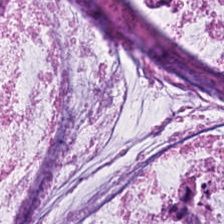Hematoxylin and eosin.
Tissue class = mucin.
